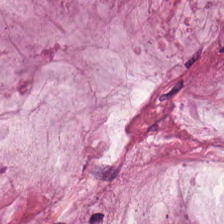H&E. Tissue class — mucin.
